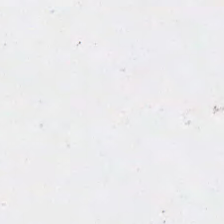Hematoxylin-and-eosin stained section.
Q: What does this patch show?
A: Background (no tissue).
